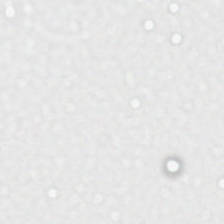Hematoxylin-and-eosin stained section.
Impression → empty background.
